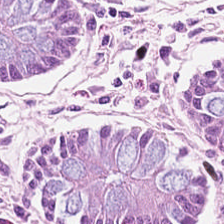224×224 pixel tile · brightfield · H&E stain — {"tissue_type": "non-neoplastic colon mucosa"}
